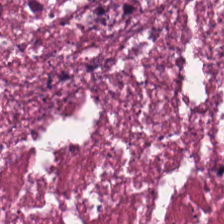H&E.
Showing necrotic debris.
